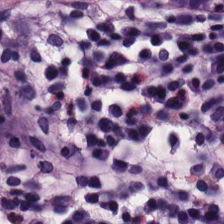Hematoxylin-and-eosin stained section.
Tissue — benign colonic mucosa.
